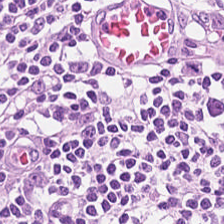Stain: H&E stain.
Tissue: lymphoid infiltrate.
